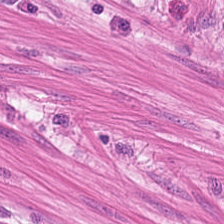Stain: hematoxylin-and-eosin stained section.
Classification: smooth-muscle tissue.
